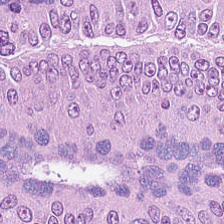224×224 px patch; H&E stain. Q: What is shown in this field?
A: The field shows tumor epithelium.
